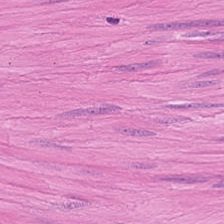Hematoxylin-and-eosin stained section.
Finding → smooth muscle.
